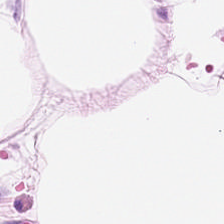H&E — This field is fat tissue.
